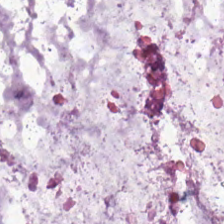Hematoxylin-and-eosin stained section; whole-slide-image patch — This patch shows extracellular mucin.
